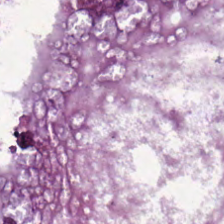224×224 px patch; hematoxylin and eosin.
Predominant tissue — colorectal adenocarcinoma epithelium.
